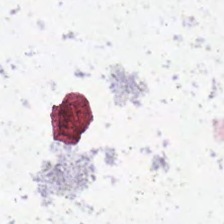Content — no tissue.
